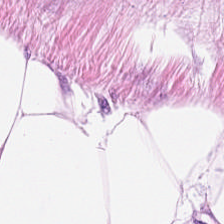0.5 microns per pixel. H&E. Brightfield. Tissue type = adipocytes.
